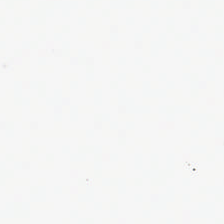Stain: H&E-stained tissue section.
Resolution: 0.5 microns per pixel.
Acquisition: WSI patch.
Field content: background.
